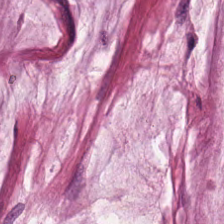Stain: H&E.
Tissue type: extracellular mucin.
